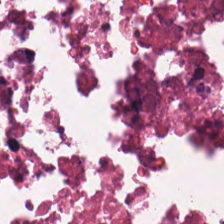H&E stain.
{"tissue_type": "debris"}
